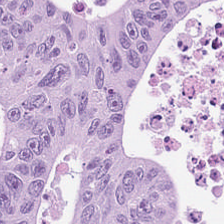Hematoxylin and eosin · 224×224 px tile · formalin-fixed paraffin-embedded section.
Predominantly tumor epithelium.
